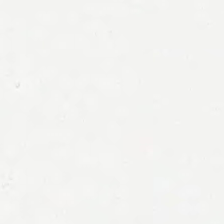H&E stain · formalin-fixed paraffin-embedded section. Content — background.
